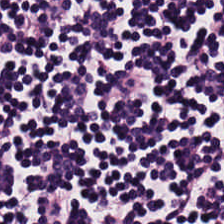Stain: H&E stain.
Tissue: lymphocytes.
